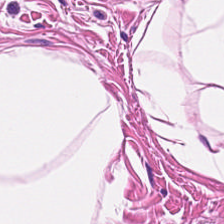0.5 microns per pixel · H&E-stained tissue section — The tissue is muscularis.
